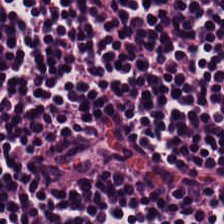H&E-stained tissue section showing lymphoid infiltrate.
